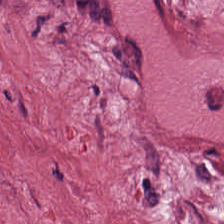H&E.
Tissue type — desmoplastic stroma.
